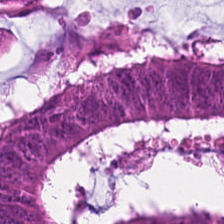Hematoxylin and eosin — The tissue here is colorectal adenocarcinoma.
